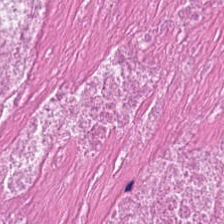224×224 pixel tile. H&E. The tissue here is debris.
